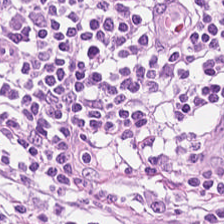H&E.
The classification is lymphocytic infiltrate.
